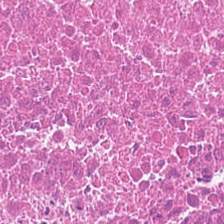Q: What is shown here?
A: Necrotic debris.
